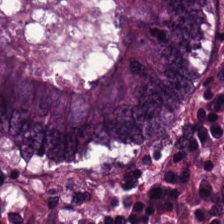Formalin-fixed paraffin-embedded section · 224×224 pixel tile · hematoxylin and eosin — Classification = adenocarcinoma.
